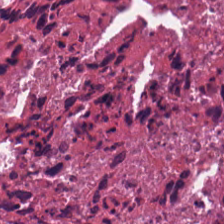0.5 µm per pixel · hematoxylin and eosin · FFPE tissue section. Tissue type — cellular debris.
